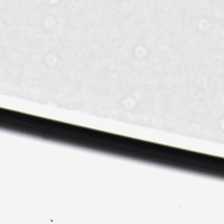Hematoxylin and eosin. Empty field — no tissue.
